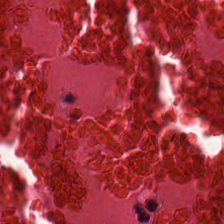H&E-stained tissue section; formalin-fixed paraffin-embedded section.
Finding → cellular debris.
